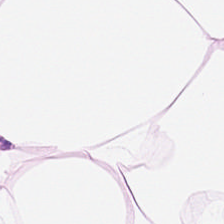224×224 pixel tile. H&E-stained tissue section.
This patch shows fat tissue.
